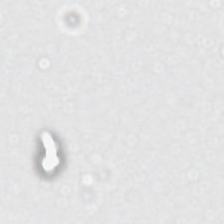Hematoxylin and eosin. Content = empty background.
